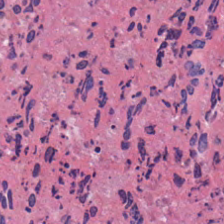Brightfield · H&E. Tissue class = cellular debris.
